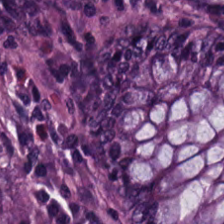Hematoxylin-and-eosin stained section — Q: What tissue type is shown here?
A: This is non-neoplastic colon mucosa.
